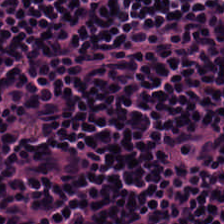The classification is lymphocytes.
